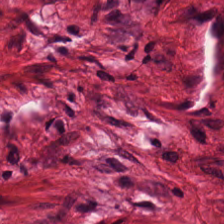The tissue here is smooth muscle.
